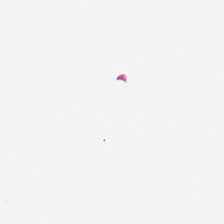H&E. Background — no tissue in this field.
